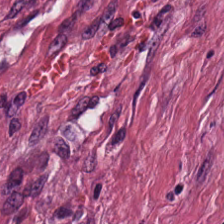H&E-stained tissue section · brightfield — The predominant tissue is tumor stroma.
